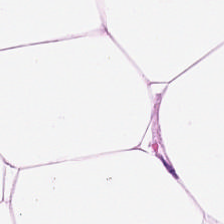20× equivalent magnification · H&E-stained tissue section. The tissue class is adipose tissue.
